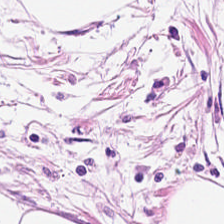H&E-stained tissue section. Whole-slide-image patch. Predominant tissue = adipose tissue.
